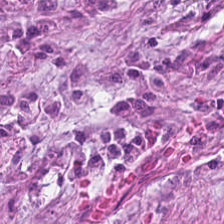FFPE · 0.5 microns per pixel · hematoxylin and eosin. Cancer-associated stroma.
